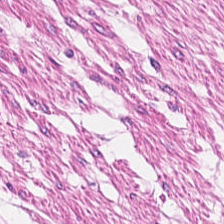Formalin-fixed paraffin-embedded section; 224×224 px patch; hematoxylin and eosin. Q: What type of tissue is this?
A: This is smooth-muscle tissue.
